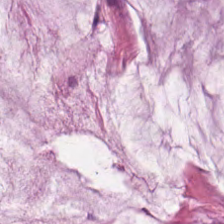Brightfield microscopy · FFPE tissue section · H&E stain.
The predominant tissue is mucin.
